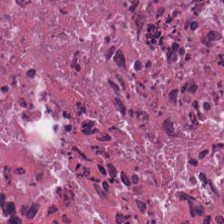Hematoxylin-and-eosin stained section · brightfield — Tissue: debris.
